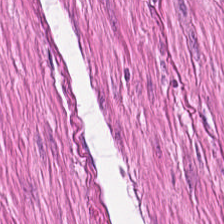The tissue class is muscularis.
